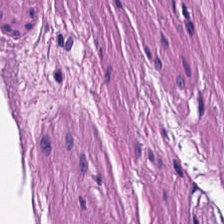Tissue: smooth muscle.
